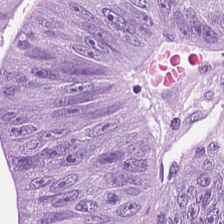The predominant tissue is tumor epithelium.
